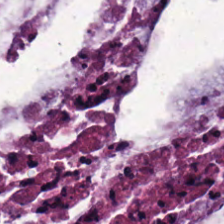Formalin-fixed paraffin-embedded section · 0.5 µm/px · hematoxylin and eosin.
Q: What tissue type is shown here?
A: It is extracellular mucin.
